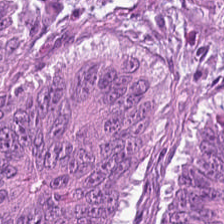H&E; whole-slide-image patch. Showing colorectal adenocarcinoma epithelium.
